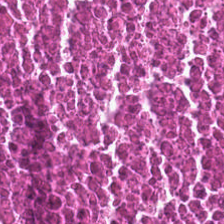WSI patch · H&E stain · 20× equivalent magnification.
The tissue here is necrotic debris.
